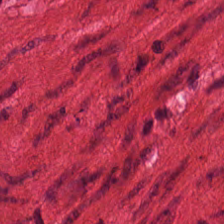H&E-stained tissue section — Classification — muscularis.
